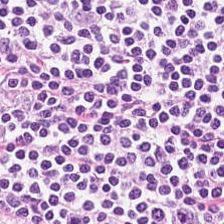H&E-stained tissue section.
Tissue class — lymphoid infiltrate.
